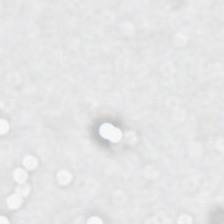H&E — Content: no tissue.
